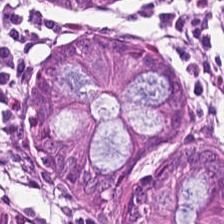Q: Identify the tissue.
A: The field shows non-neoplastic colon mucosa.
